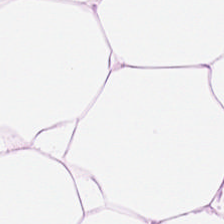FFPE; hematoxylin-and-eosin stained section; WSI patch.
Histology — adipocytes.
